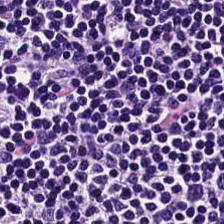{"tissue_type": "lymphoid infiltrate"}
